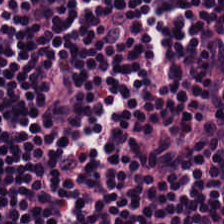Histology → lymphocytic infiltrate.
